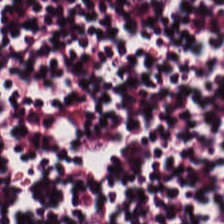Classification — lymphoid infiltrate.
